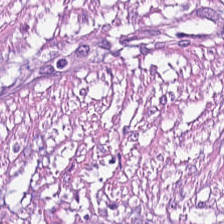H&E.
Tissue type: desmoplastic stroma.
